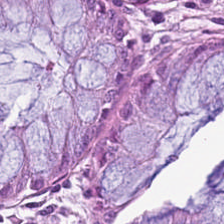Hematoxylin-and-eosin stained section. 0.5 µm/px. Brightfield — Predominantly normal colon mucosa.
